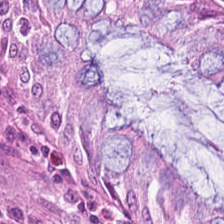Stain: H&E stain.
Resolution: 0.5 µm/px.
Tissue class: normal colon mucosa.
